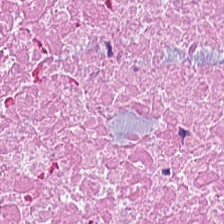Q: What is the predominant tissue type?
A: It is necrotic debris.
